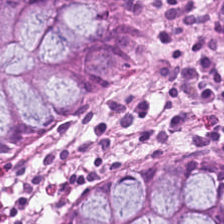Hematoxylin-and-eosin section: normal colonic mucosa.
